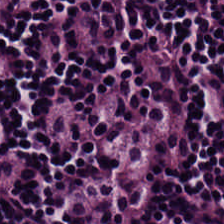FFPE tissue section. H&E stain. Histology — lymphocytes.
